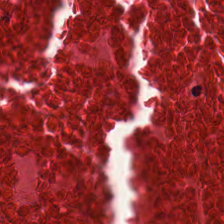H&E-stained tissue section.
{"tissue_type": "debris"}
